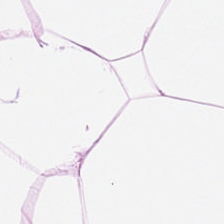H&E — This patch shows adipose.
